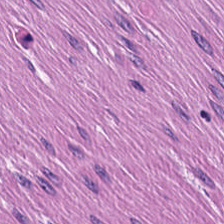Stain: H&E.
Predominant tissue: smooth-muscle tissue.
